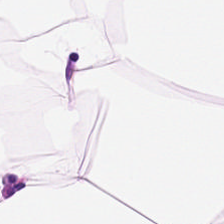Tissue class = adipose.
